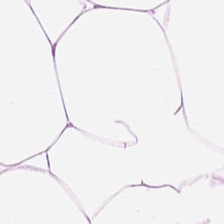Hematoxylin and eosin. The tissue here is adipose.
